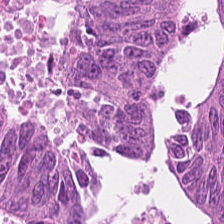0.5 µm per pixel; H&E.
Classification — colorectal adenocarcinoma.
